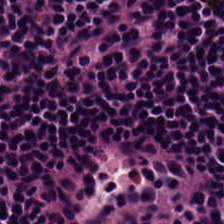H&E stain.
Showing lymphocytic infiltrate.
